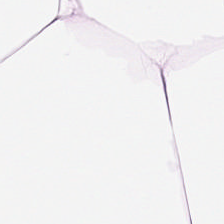Predominant tissue = adipose tissue.
